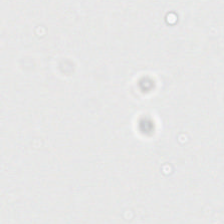Hematoxylin and eosin. 20× equivalent magnification.
No tissue present; background only.
